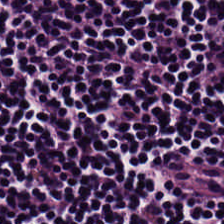Tissue: lymphocytes.
